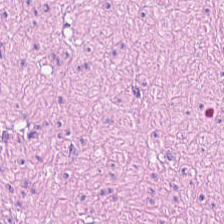Hematoxylin and eosin.
Classification — smooth muscle.
